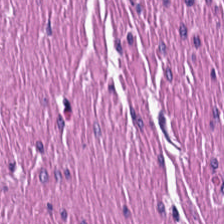0.5 µm per pixel. H&E. Brightfield microscopy — Showing muscularis.
